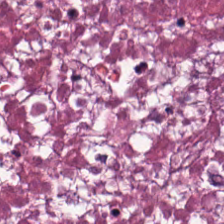Stain: hematoxylin-and-eosin stained section.
Tile size: 224×224 px patch.
Acquisition: brightfield microscopy.
Tissue class: cellular debris.
